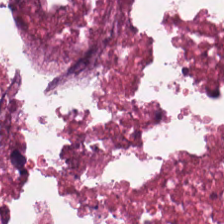Debris.
